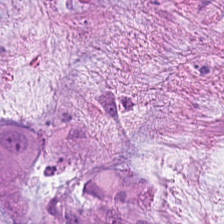Hematoxylin-and-eosin stained section. Histology → mucin.
